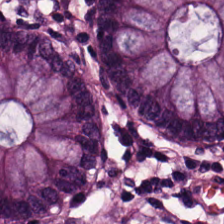Hematoxylin and eosin — Q: What type of tissue is this?
A: It is non-neoplastic colon mucosa.
